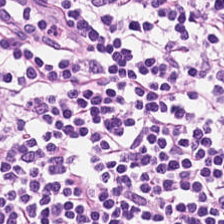H&E patch showing lymphocytes.
